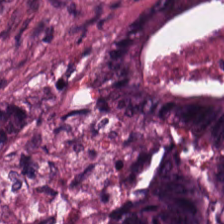H&E — Tissue — tumor epithelium.
